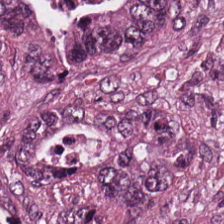Hematoxylin-and-eosin stained section. This patch shows tumor epithelium.
